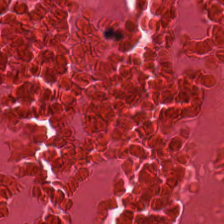Hematoxylin and eosin.
The classification is debris.
